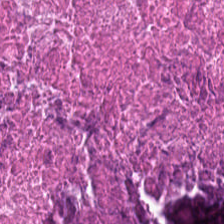The tissue is debris.
